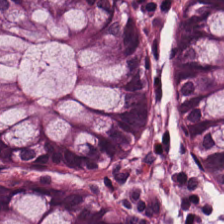H&E.
The tissue here is normal colonic mucosa.
